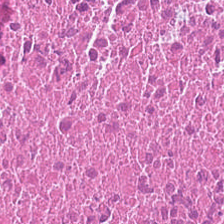Tissue = cellular debris.
